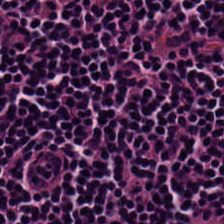The predominant tissue is lymphoid infiltrate.
